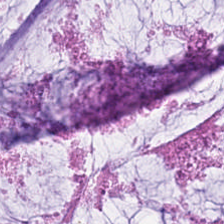Stain: H&E-stained tissue section.
Resolution: 0.5 µm/px.
Tissue type: extracellular mucin.
